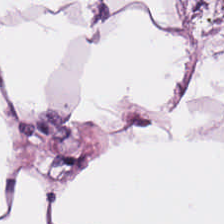Stain: H&E.
Resolution: 0.5 µm/px.
Tile size: 224×224 pixel tile.
Classification: adipocytes.
